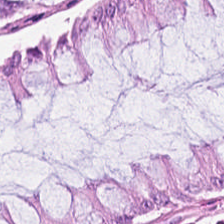Stain: hematoxylin-and-eosin stained section.
Tissue type: normal colonic mucosa.
